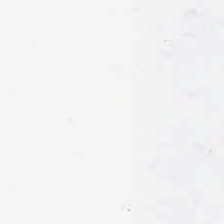Q: What does this patch show?
A: Background (no tissue).
